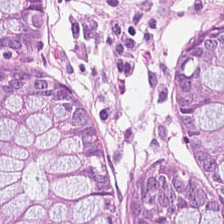H&E; whole-slide-image patch. Q: What type of tissue is this?
A: Normal colonic mucosa.
